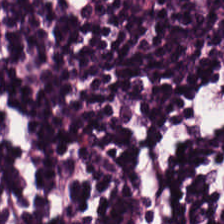Stain: hematoxylin-and-eosin stained section.
Tissue: lymphocytic infiltrate.
